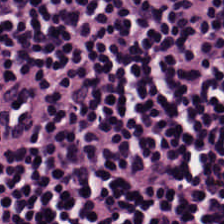WSI patch. H&E-stained tissue section. 224×224 pixel tile — The tissue here is lymphoid infiltrate.
